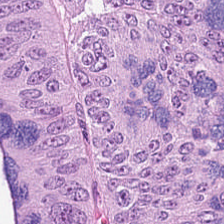H&E-stained tissue section · FFPE tissue section.
Q: What is shown in this field?
A: The field shows tumor epithelium.
